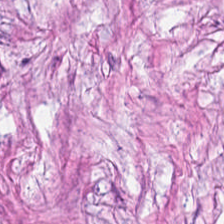H&E. Finding → tumor-associated stroma.
